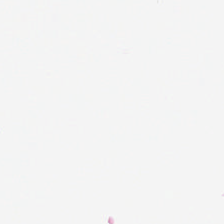Hematoxylin and eosin.
Field content: no tissue.
